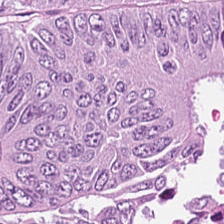Hematoxylin-and-eosin stained section — Predominantly malignant epithelium.
